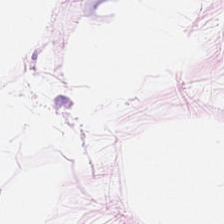Showing adipose tissue.
